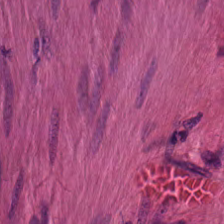Hematoxylin and eosin. 224×224 px tile.
Impression → muscularis.
